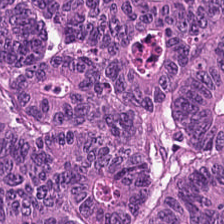H&E stain — Tissue — adenocarcinoma.
